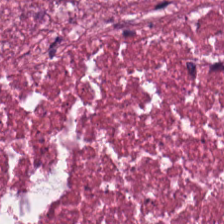FFPE. H&E. Showing debris.
